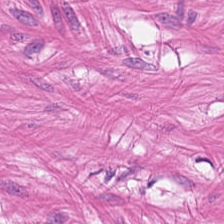Hematoxylin and eosin.
Tissue type — smooth-muscle tissue.
